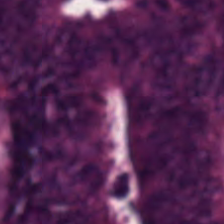H&E stain. Predominantly tumor epithelium.
